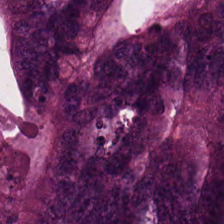Tissue: tumor epithelium.
